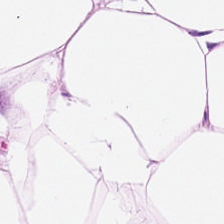Stain: H&E stain.
Tissue class: adipose.
